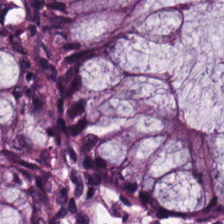H&E. Formalin-fixed paraffin-embedded section. Tissue class — benign colonic mucosa.
